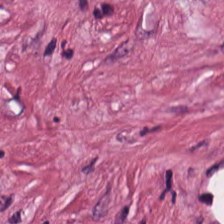Hematoxylin-and-eosin stained section. Brightfield microscopy. 224×224 px tile — The tissue here is tumor stroma.
